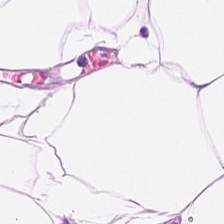Q: What does this patch show?
A: It is fat tissue.
